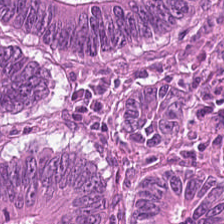H&E. Q: What tissue type is shown here?
A: The field shows adenocarcinoma.
